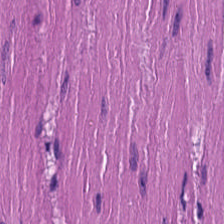WSI patch · H&E stain.
Tissue — smooth muscle.
